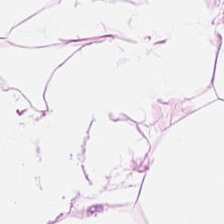WSI patch; H&E stain — This field is adipocytes.
